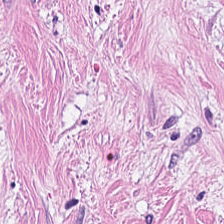Q: What type of tissue is this?
A: It is tumor stroma.
